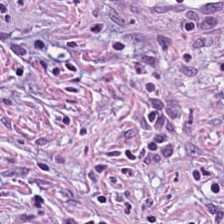0.5 µm/px. Hematoxylin and eosin.
This patch shows desmoplastic stroma.
